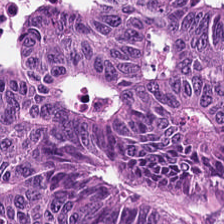Hematoxylin-and-eosin stained section. Impression → colorectal adenocarcinoma epithelium.
